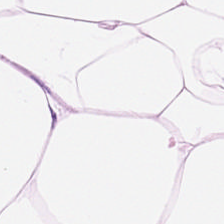H&E stain. 0.5 µm per pixel. The tissue is adipocytes.
